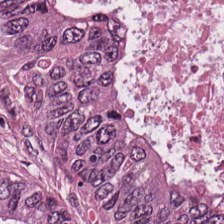H&E-stained tissue section · brightfield · 224×224 px patch — Q: What tissue type is shown here?
A: Adenocarcinoma.
